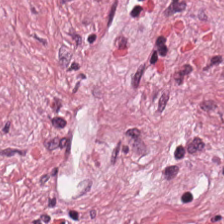Formalin-fixed paraffin-embedded section; hematoxylin and eosin — Q: What is the predominant tissue type?
A: The field shows tumor stroma.
